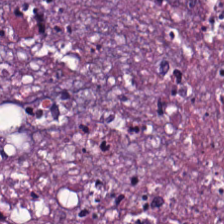Hematoxylin-and-eosin stained section.
Tissue = cellular debris.
